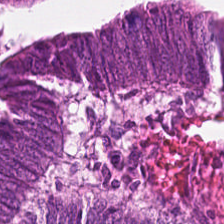H&E — {"tissue_type": "colorectal adenocarcinoma"}
